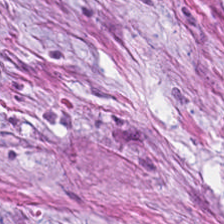Hematoxylin-and-eosin stained section — The tissue type is desmoplastic stroma.
